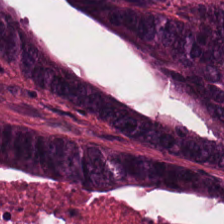Hematoxylin-and-eosin stained section.
This patch shows colorectal adenocarcinoma epithelium.
